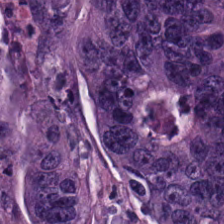Hematoxylin and eosin.
Q: Classify this patch.
A: The field shows colorectal adenocarcinoma.
